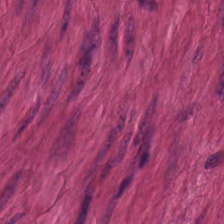WSI patch · hematoxylin and eosin. The classification is smooth muscle.
